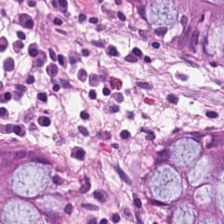Hematoxylin and eosin; whole-slide-image patch; 224×224 px patch.
Tissue class = non-neoplastic colon mucosa.
